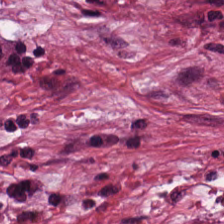0.5 microns per pixel; H&E-stained tissue section — Classification = desmoplastic stroma.
